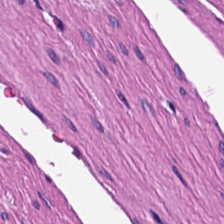H&E stain.
The tissue here is smooth muscle.
